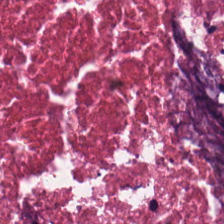H&E. Brightfield — Debris.
